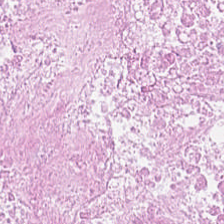Q: What tissue type is shown here?
A: Necrotic debris.
